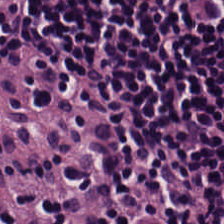H&E-stained tissue section · 0.5 microns per pixel — This patch shows lymphoid infiltrate.
